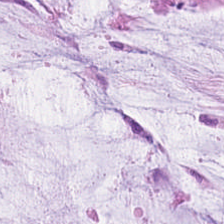Stain: H&E-stained tissue section.
Tissue class: extracellular mucin.
